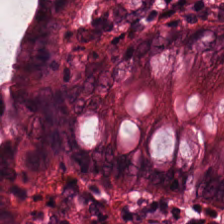H&E stain. Q: Identify the tissue.
A: Normal colon mucosa.
